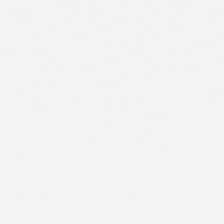Hematoxylin and eosin; FFPE; brightfield microscopy — No tissue present; background only.
